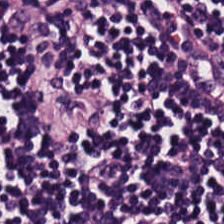H&E-stained tissue section. 224×224 pixel tile. Showing lymphocytic infiltrate.
